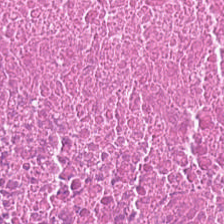Stain: H&E-stained tissue section.
Acquisition: brightfield.
Classification: cellular debris.
